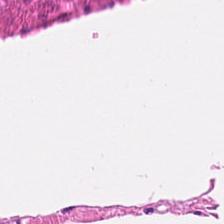Whole-slide-image patch; H&E; 224×224 px tile.
Smooth-muscle tissue.
